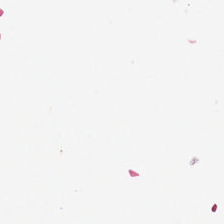{"content": "background (no tissue)"}
